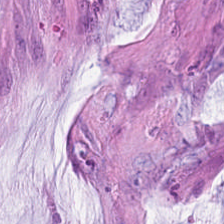Stain: hematoxylin-and-eosin stained section.
Resolution: 20× equivalent magnification.
Acquisition: brightfield microscopy.
Predominant tissue: mucus.
